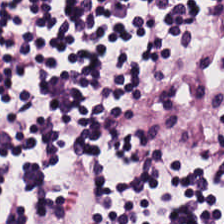Hematoxylin and eosin — Finding → lymphoid infiltrate.
